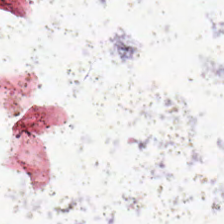Hematoxylin and eosin.
Content — no tissue.
